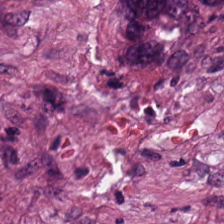Hematoxylin and eosin.
Finding → colorectal adenocarcinoma.
